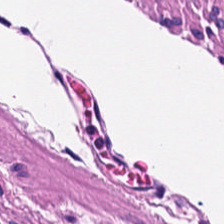{"tissue_type": "smooth-muscle tissue"}
